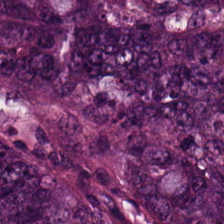0.5 µm per pixel. Hematoxylin-and-eosin stained section.
The tissue type is tumor epithelium.
